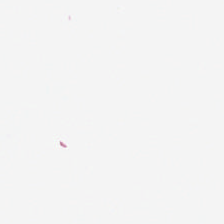Hematoxylin-and-eosin stained section. Empty field — empty background.
